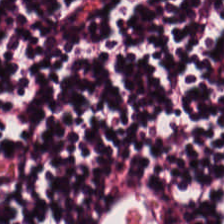H&E stain. Impression → lymphoid infiltrate.
